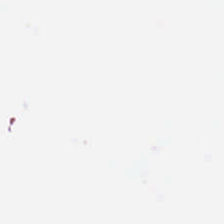H&E. No tissue.
